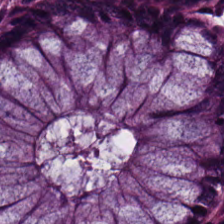Stain: hematoxylin-and-eosin stained section.
Predominant tissue: non-neoplastic colon mucosa.
